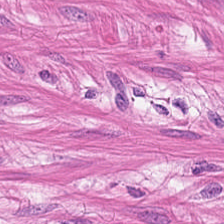Hematoxylin and eosin — Showing smooth muscle.
